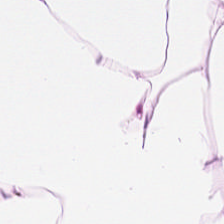Q: What tissue type is shown here?
A: This is adipose tissue.
